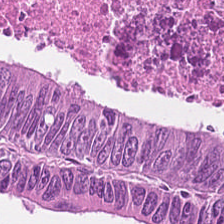Hematoxylin-and-eosin stained section · FFPE tissue section.
Q: What is shown in this field?
A: It is tumor epithelium.
